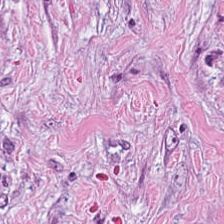Hematoxylin and eosin — The tissue class is desmoplastic stroma.
